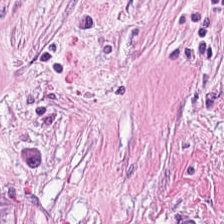WSI patch; hematoxylin-and-eosin stained section. The tissue here is tumor-associated stroma.
